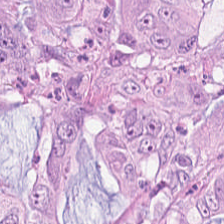H&E stain — The predominant tissue is colorectal adenocarcinoma epithelium.
